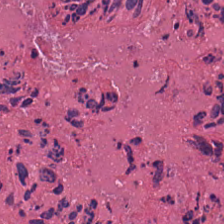H&E-stained tissue section. Q: Classify this patch.
A: This is necrotic debris.
